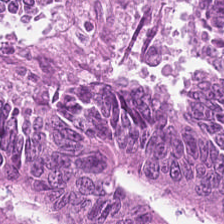Stain: H&E stain.
Classification: adenocarcinoma.
